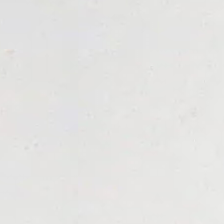Hematoxylin and eosin. Field content = empty background.
